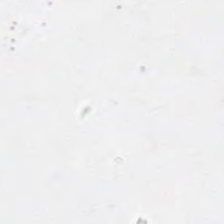H&E-stained tissue section · 224×224 px tile. Q: Classify this patch.
A: This is background.
